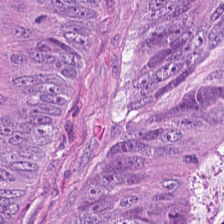H&E. Q: Identify the tissue.
A: Colorectal adenocarcinoma.
